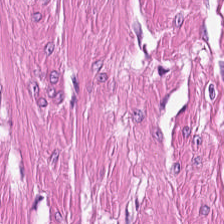Hematoxylin and eosin. Finding — muscularis.
